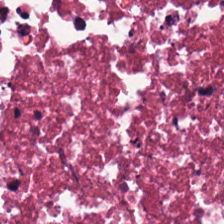Formalin-fixed paraffin-embedded section · H&E stain.
The predominant tissue is necrotic debris.
